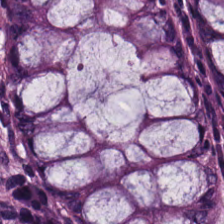Stain: hematoxylin-and-eosin stained section.
Predominant tissue: normal colon mucosa.
